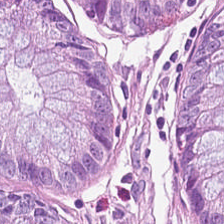Hematoxylin and eosin; 224×224 px patch — Tissue class = normal colon mucosa.
